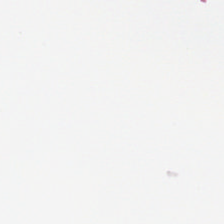Background — no tissue in this field.
